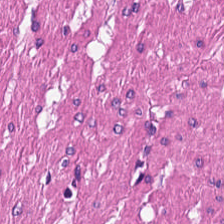H&E.
Q: What tissue is shown?
A: It is smooth muscle.
